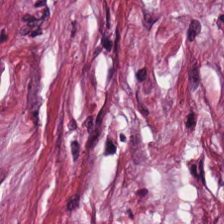Hematoxylin and eosin — {"tissue_type": "tumor-associated stroma"}
